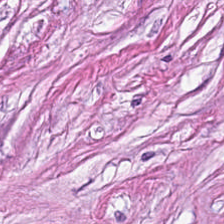H&E-stained tissue section showing desmoplastic stroma.
